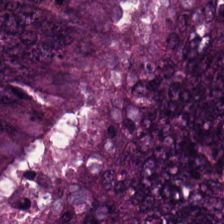The tissue is tumor epithelium.
